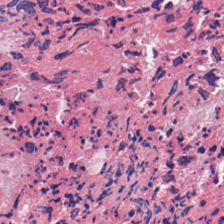Hematoxylin-and-eosin section: debris.
